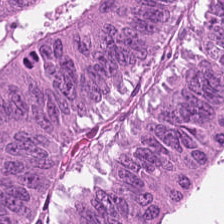20× equivalent magnification. H&E. Whole-slide-image patch.
Finding — malignant epithelium.
